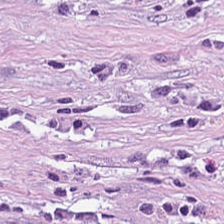Hematoxylin and eosin — Predominantly tumor stroma.
